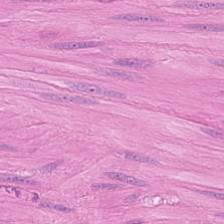Impression — muscularis.
